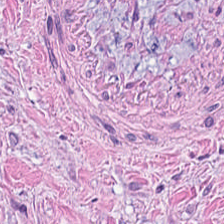H&E stain — The tissue class is tumor-associated stroma.
